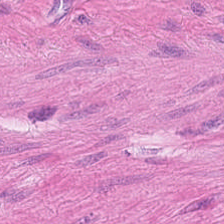H&E-stained tissue section · 0.5 microns per pixel. Q: What type of tissue is this?
A: It is smooth-muscle tissue.
